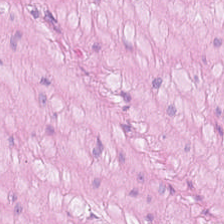224×224 px patch. Hematoxylin-and-eosin stained section. Formalin-fixed paraffin-embedded section.
Predominantly muscularis.
